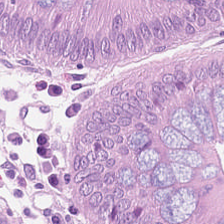Hematoxylin-and-eosin stained section.
The predominant tissue is normal colonic mucosa.
